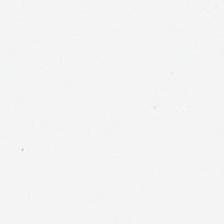FFPE · hematoxylin-and-eosin stained section — Classification — no tissue.
